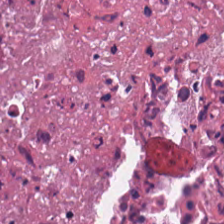Predominant tissue = cellular debris.
